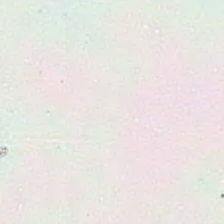H&E; 0.5 µm per pixel.
Q: What is shown here?
A: Background.
